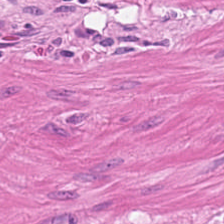Stain: hematoxylin and eosin.
Tissue: smooth-muscle tissue.
